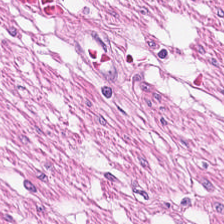H&E-stained tissue section; 0.5 µm/px; 224×224 px tile — Predominant tissue: muscularis.
